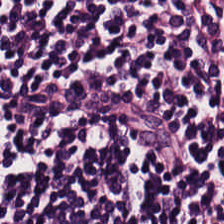Classification = lymphocytes.
